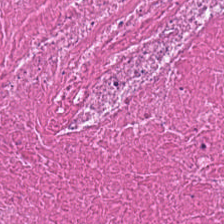Hematoxylin-and-eosin stained section.
Cellular debris.
